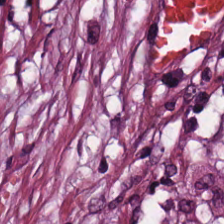H&E — cancer-associated stroma.
